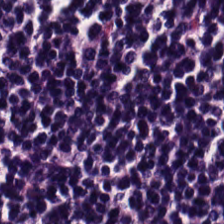H&E — lymphocytes.
